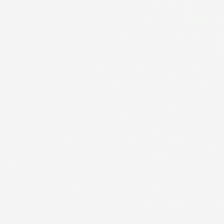WSI patch. Hematoxylin-and-eosin stained section.
Finding — background (no tissue).
